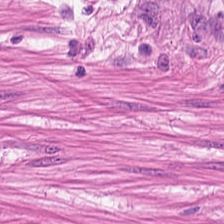0.5 microns per pixel; H&E stain; FFPE — Q: What is the predominant tissue type?
A: Smooth-muscle tissue.
